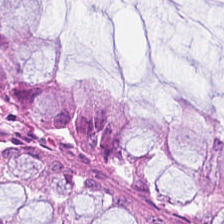Stain: H&E-stained tissue section.
Resolution: 0.5 µm per pixel.
Tissue: non-neoplastic colon mucosa.
